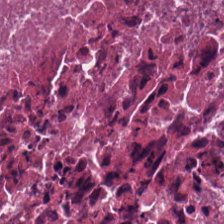Hematoxylin-and-eosin stained section. 0.5 µm per pixel.
The tissue here is necrotic debris.
